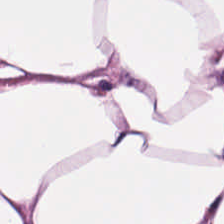H&E-stained tissue section · 224×224 px patch · 0.5 microns per pixel.
Classification: adipocytes.
